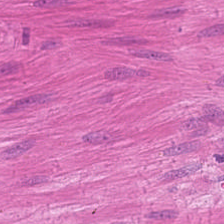The tissue type is smooth muscle.
